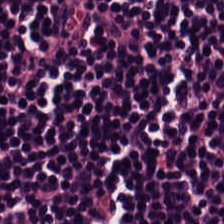Hematoxylin and eosin; WSI patch; 0.5 microns per pixel.
The tissue here is lymphocytic infiltrate.
